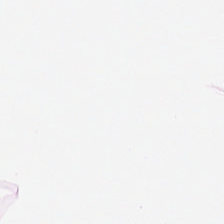H&E. Brightfield. Tissue = adipose.
